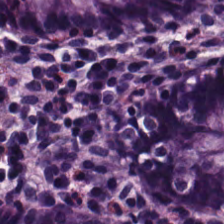Stain: hematoxylin and eosin.
Predominant tissue: benign colonic mucosa.
